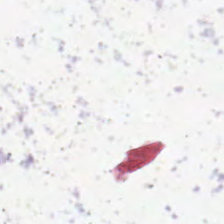Whole-slide-image patch · H&E stain. Content = empty background.
